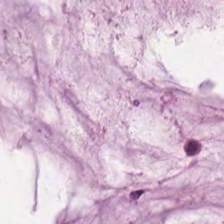Hematoxylin-and-eosin stained section.
This field is mucus.
